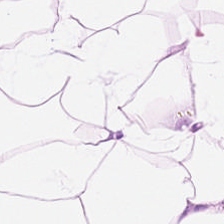Hematoxylin-and-eosin stained section — Classification = adipose.
